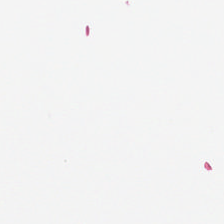FFPE. 20× equivalent magnification. Hematoxylin-and-eosin stained section — Q: What does this patch show?
A: This is no tissue.
